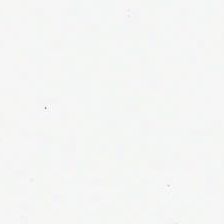Background — no tissue in this field.
